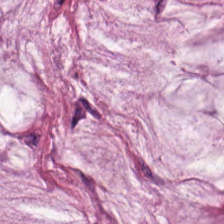Hematoxylin-and-eosin section: mucus.
